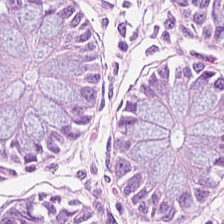Hematoxylin-and-eosin stained section. Q: What is the predominant tissue type?
A: It is normal colon mucosa.
